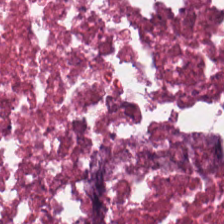The tissue here is cellular debris.
